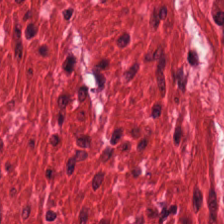Hematoxylin-and-eosin stained section; FFPE. {"tissue_type": "smooth muscle"}
